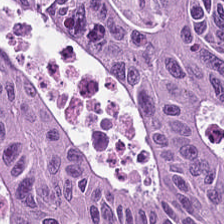Stain: hematoxylin-and-eosin stained section.
Predominant tissue: adenocarcinoma.
